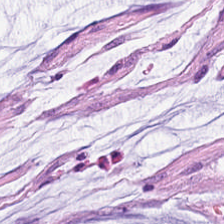H&E stain — Classification: extracellular mucin.
